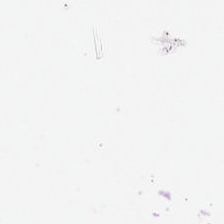Empty background.
